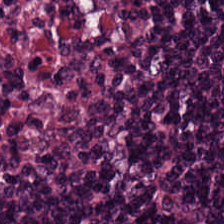H&E-stained tissue section — The predominant tissue is lymphoid infiltrate.
